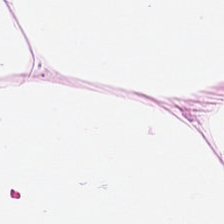Brightfield microscopy · 0.5 µm/px · hematoxylin-and-eosin stained section.
Histology → adipose tissue.
